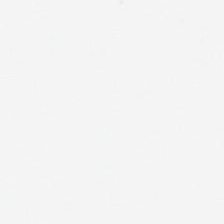H&E stain — This patch shows no tissue.
